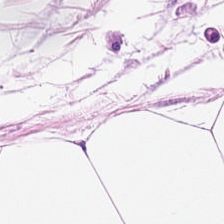H&E; FFPE.
Tissue type — adipocytes.
